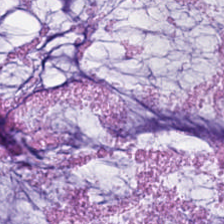Classification — mucus.
